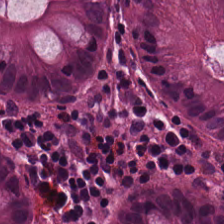Brightfield microscopy; H&E stain; FFPE tissue section — Q: What tissue type is shown here?
A: This is benign colonic mucosa.
